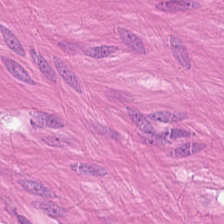Histology — smooth-muscle tissue.
